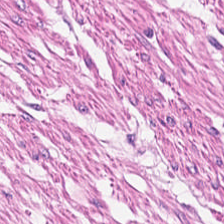Histology — smooth muscle.
